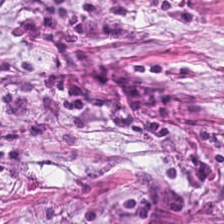20× equivalent magnification. H&E. Histology — desmoplastic stroma.
